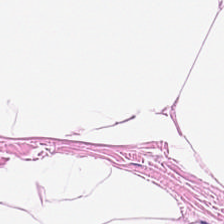H&E stain · 20× equivalent magnification. Impression → fat tissue.
